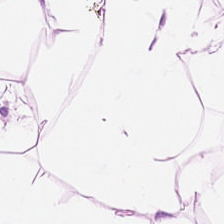0.5 microns per pixel. H&E stain.
Predominant tissue — adipocytes.
